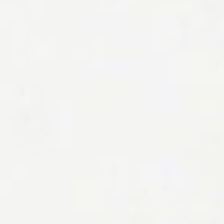Hematoxylin-and-eosin stained section.
Content: background.
